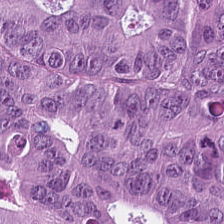Showing malignant epithelium.
